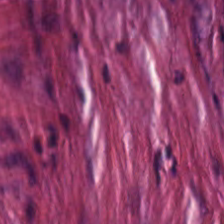Tissue — tumor-associated stroma.
